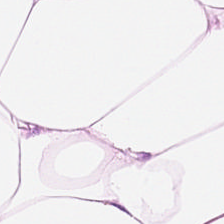Hematoxylin-and-eosin stained section — Tissue = adipocytes.
